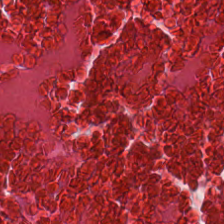H&E-stained tissue section; brightfield. Q: Classify this patch.
A: It is necrotic debris.
